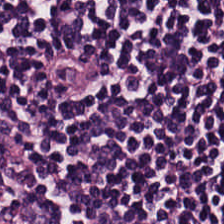224×224 px tile. H&E-stained tissue section — Predominant tissue = lymphoid infiltrate.
